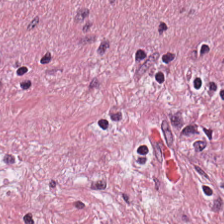WSI patch · hematoxylin-and-eosin stained section.
Predominant tissue = tumor-associated stroma.
